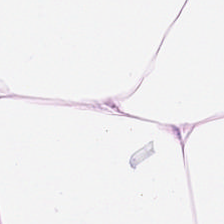Stain: H&E.
Tissue: adipocytes.
